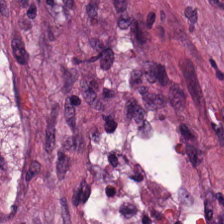H&E. Tissue: tumor-associated stroma.
